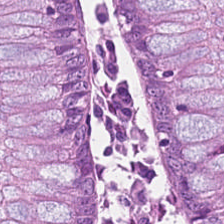H&E.
Q: What type of tissue is this?
A: This is non-neoplastic colon mucosa.
